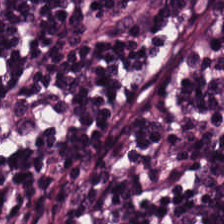Hematoxylin and eosin; brightfield microscopy.
Impression — lymphocyte aggregate.
